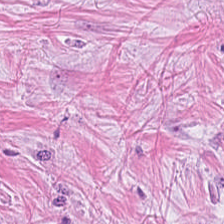20× equivalent magnification · hematoxylin and eosin. Q: Identify the tissue.
A: This is cancer-associated stroma.
